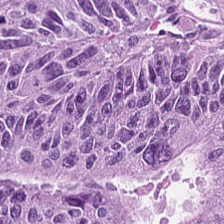This field is colorectal adenocarcinoma.
